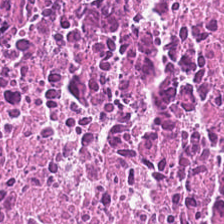Q: What type of tissue is this?
A: It is debris.
